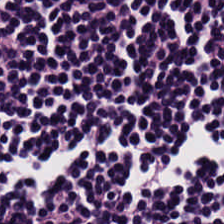Stain: hematoxylin and eosin.
Tissue: lymphocyte aggregate.
